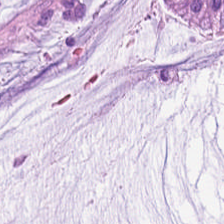H&E-stained tissue section. Finding — mucin.
